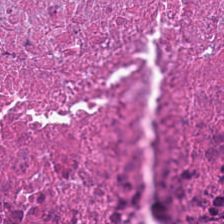H&E-stained tissue section. Tissue type: cellular debris.
